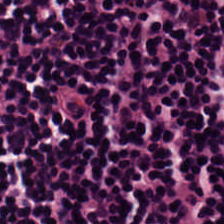The tissue type is lymphocyte aggregate.
